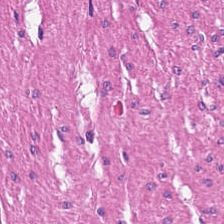Brightfield; H&E.
The classification is smooth-muscle tissue.
